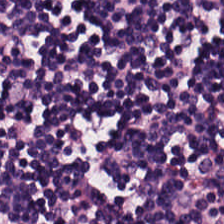Stain: H&E stain.
Classification: lymphocytic infiltrate.
